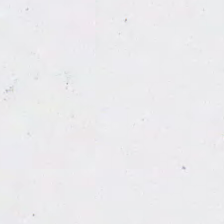H&E-stained tissue section.
Background — no tissue in this field.
